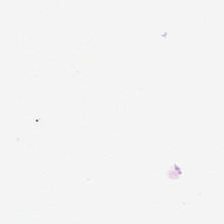224×224 px patch · H&E-stained tissue section — This patch shows background (no tissue).
